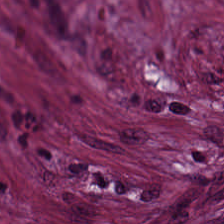Stain: H&E stain.
Predominant tissue: tumor stroma.
